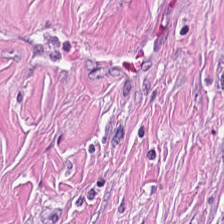0.5 µm/px; H&E stain — The classification is desmoplastic stroma.
